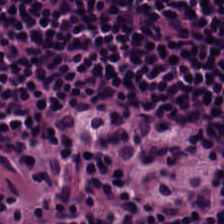Hematoxylin-and-eosin stained section. Q: What tissue is shown?
A: The field shows lymphoid infiltrate.
